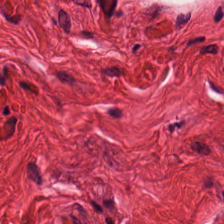Classification = smooth-muscle tissue.
